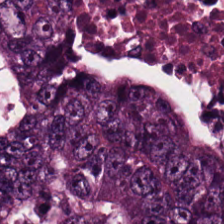H&E stain. Classification = malignant epithelium.
